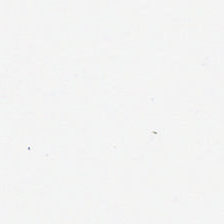224×224 px patch. FFPE tissue section. H&E-stained tissue section.
No tissue present; background only.
